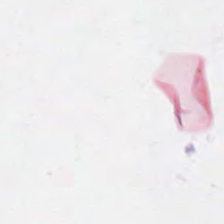0.5 microns per pixel; formalin-fixed paraffin-embedded section; hematoxylin-and-eosin stained section — Q: What is shown here?
A: This is empty background.
